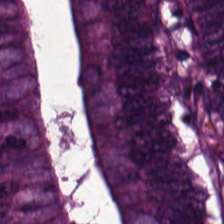Tissue class — adenocarcinoma.
